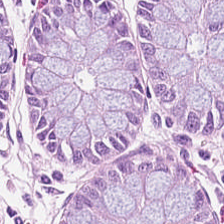224×224 px patch; WSI patch; hematoxylin and eosin. {"tissue_type": "normal colon mucosa"}
